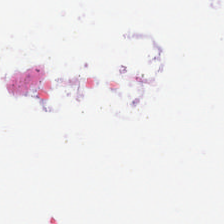Hematoxylin and eosin. Classification = background (no tissue).
